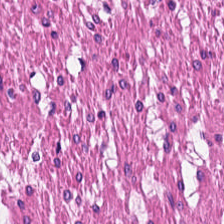Hematoxylin-and-eosin stained section · 0.5 microns per pixel · WSI patch.
Showing smooth muscle.
